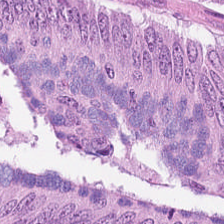H&E-stained tissue section — Classification: tumor epithelium.
